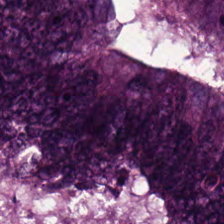H&E-stained tissue section — Impression → malignant epithelium.
